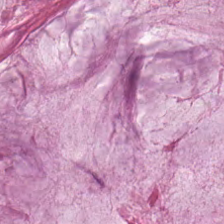224×224 pixel tile; brightfield; H&E.
Histology — mucin.
